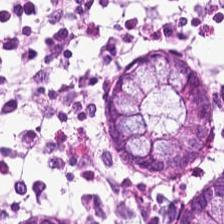Brightfield. 224×224 px tile. Hematoxylin and eosin. The predominant tissue is benign colonic mucosa.
